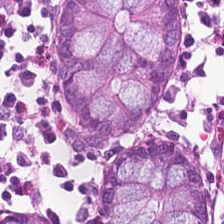224×224 pixel tile; 0.5 microns per pixel; hematoxylin-and-eosin stained section.
Tissue: non-neoplastic colon mucosa.
